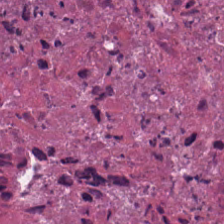Formalin-fixed paraffin-embedded section · H&E-stained tissue section. The tissue class is necrotic debris.
